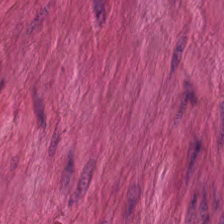Q: What type of tissue is this?
A: This is muscularis.
